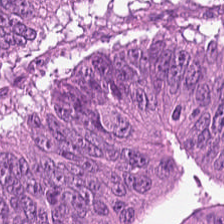H&E-stained tissue section. Q: What tissue is shown?
A: Colorectal adenocarcinoma.
